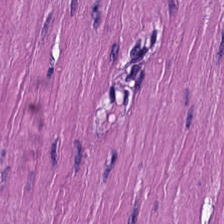Hematoxylin and eosin.
Predominant tissue = smooth muscle.
